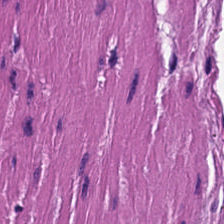Hematoxylin and eosin. Tissue class: muscularis.
